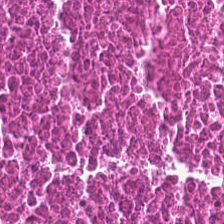H&E stain. Q: Identify the tissue.
A: It is necrotic debris.
